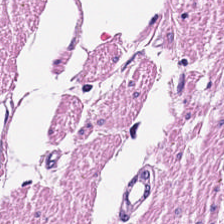This field is smooth-muscle tissue.
